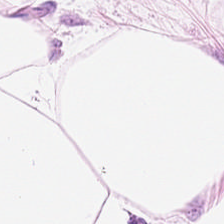Stain: H&E.
Predominant tissue: adipocytes.
